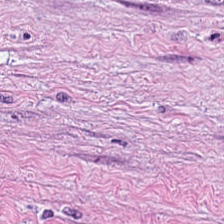Tissue type: cancer-associated stroma.
